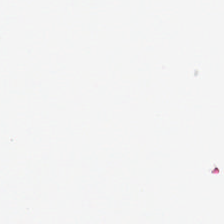H&E stain.
This patch shows no tissue.
